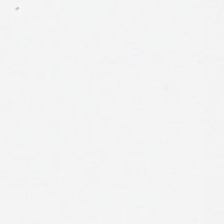Stain: hematoxylin-and-eosin stained section.
Content: background (no tissue).
